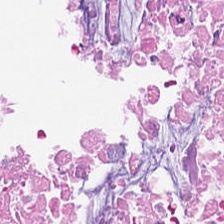H&E-stained tissue section.
The tissue type is debris.
